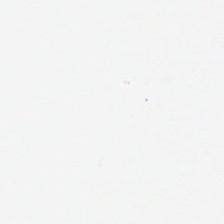H&E.
This patch shows empty background.
